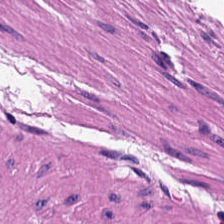Hematoxylin-and-eosin stained section. Predominantly smooth muscle.
